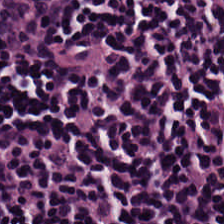Hematoxylin and eosin.
Lymphocyte aggregate.
